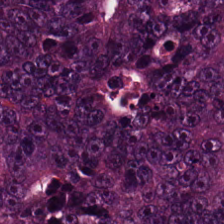This field is adenocarcinoma.
